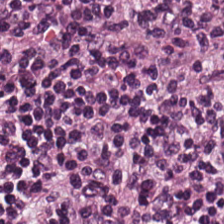H&E stain — Tissue class = lymphocyte aggregate.
